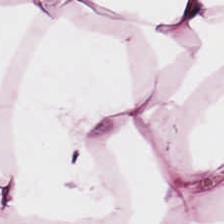Stain: hematoxylin and eosin.
Resolution: 20× equivalent magnification.
Predominant tissue: adipose.
